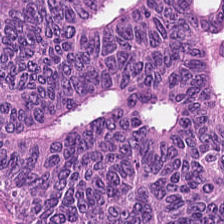Hematoxylin-and-eosin stained section.
Tissue class: tumor epithelium.
